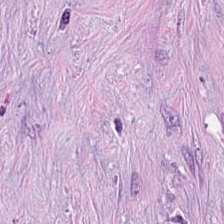H&E-stained tissue section.
Predominantly tumor stroma.
